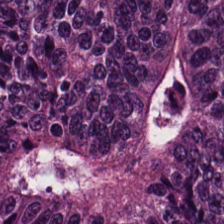Stain: H&E.
Preparation: FFPE.
Acquisition: whole-slide-image patch.
Classification: adenocarcinoma.
